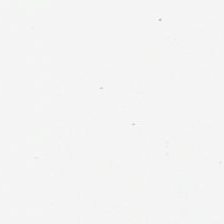H&E-stained tissue section. No tissue.
